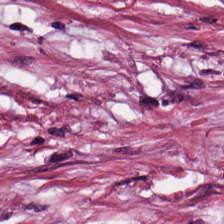H&E-stained tissue section.
The predominant tissue is desmoplastic stroma.
